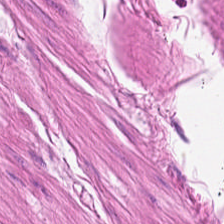H&E.
Tissue class — smooth muscle.
